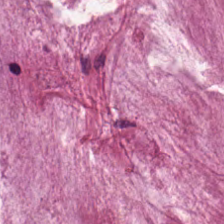Hematoxylin-and-eosin stained section; 0.5 µm/px; 224×224 px tile.
Tissue: extracellular mucin.
